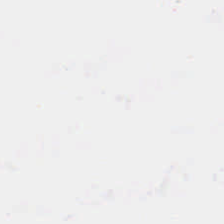The classification is empty background.
